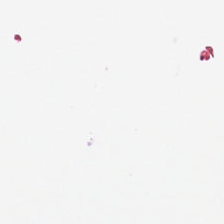No tissue present; background only.
